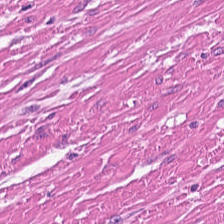Stain: hematoxylin-and-eosin stained section.
Preparation: FFPE tissue section.
Tile size: 224×224 px patch.
Tissue: smooth-muscle tissue.
